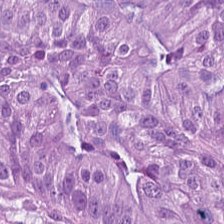Hematoxylin-and-eosin stained section.
Q: What is shown here?
A: The field shows colorectal adenocarcinoma epithelium.
